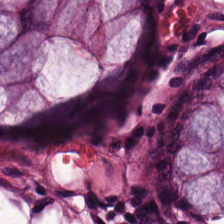Stain: hematoxylin-and-eosin stained section.
Preparation: formalin-fixed paraffin-embedded section.
Predominant tissue: benign colonic mucosa.
